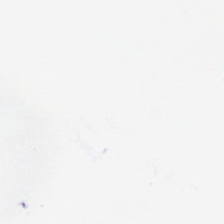Stain: H&E.
Field content: background.
